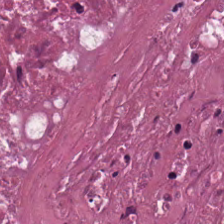Necrotic debris.
